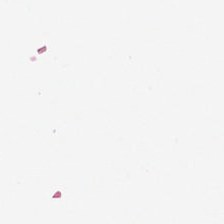Hematoxylin and eosin. {"content": "empty background"}
